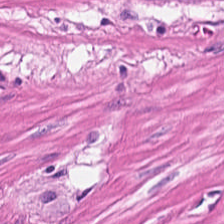0.5 µm/px. H&E stain. Formalin-fixed paraffin-embedded section. This field is muscularis.
